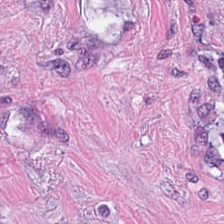Whole-slide-image patch · hematoxylin and eosin. Showing cancer-associated stroma.
